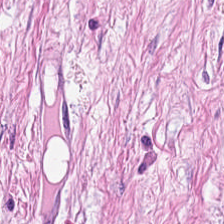Predominantly tumor-associated stroma.
